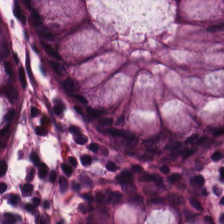The tissue class is non-neoplastic colon mucosa.
